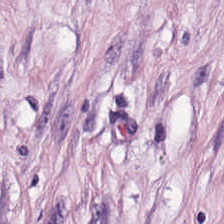Hematoxylin-and-eosin stained section — Predominantly desmoplastic stroma.
